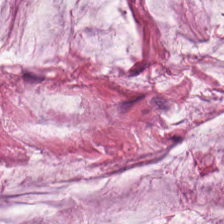224×224 px tile · hematoxylin and eosin. This field is mucus.
